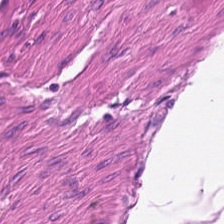WSI patch; hematoxylin and eosin — Impression — smooth-muscle tissue.
